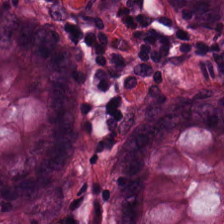H&E-stained section; the field shows benign colonic mucosa.
